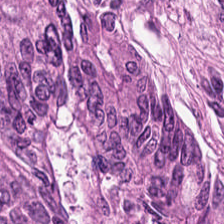H&E-stained tissue section. 0.5 microns per pixel. {"tissue_type": "tumor epithelium"}
